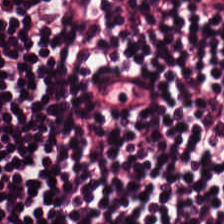H&E; 0.5 µm per pixel. The predominant tissue is lymphocytes.
